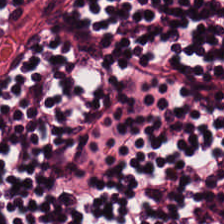This patch shows lymphocytes.
